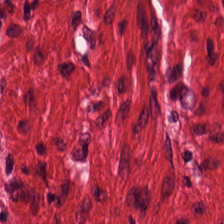Stain: hematoxylin and eosin.
Classification: smooth muscle.
